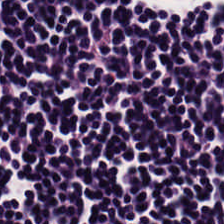H&E stain.
{"tissue_type": "lymphoid infiltrate"}
